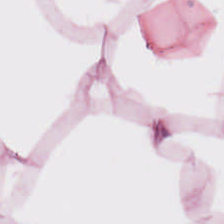Q: What is the predominant tissue type?
A: Adipose.
